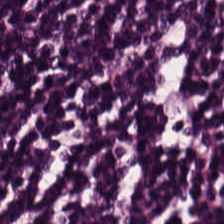Hematoxylin-and-eosin stained section.
Tissue class: lymphocytes.
